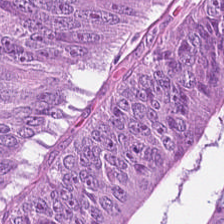Hematoxylin-and-eosin section: tumor epithelium.
